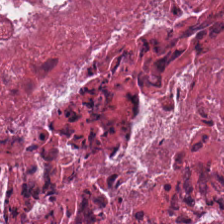Brightfield microscopy · H&E · 0.5 microns per pixel — Q: What is shown in this field?
A: This is necrotic debris.
